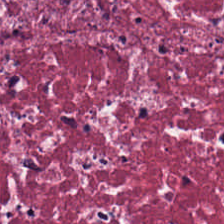This patch shows tumor-associated stroma.
